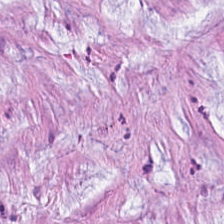Stain: H&E-stained tissue section.
Tissue class: mucus.
